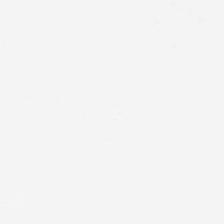Hematoxylin-and-eosin stained section · formalin-fixed paraffin-embedded section · 0.5 µm/px. Classification: empty background.
